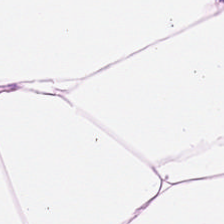H&E stain · 0.5 µm/px. Impression → adipose tissue.
